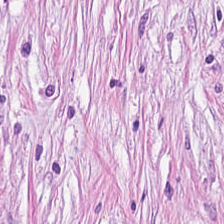H&E-stained section; the field shows desmoplastic stroma.
